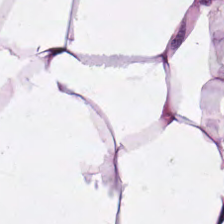Q: Classify this patch.
A: Adipocytes.
